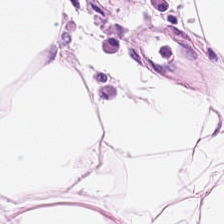H&E.
This patch shows adipose tissue.
